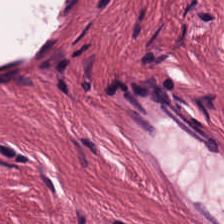Stain: hematoxylin-and-eosin stained section.
Resolution: 0.5 µm per pixel.
Preparation: FFPE.
Classification: desmoplastic stroma.
